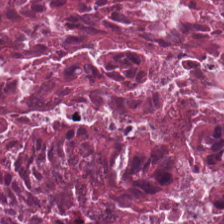Q: Classify this patch.
A: Debris.
